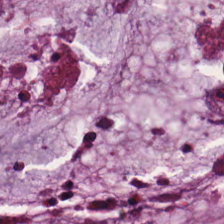H&E-stained tissue section. This field is extracellular mucin.
